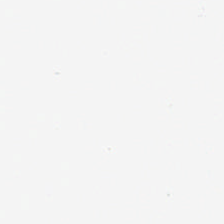Hematoxylin-and-eosin stained section; 20× equivalent magnification — Q: Classify this patch.
A: It is background (no tissue).
